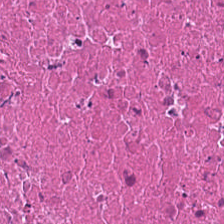H&E. Predominant tissue — necrotic debris.
